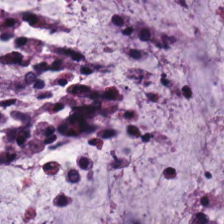H&E; formalin-fixed paraffin-embedded section. Tissue class = mucin.
